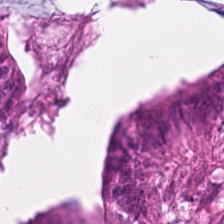The classification is malignant epithelium.
